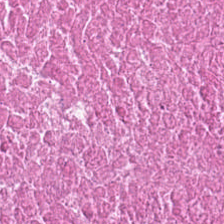Finding → necrotic debris.
